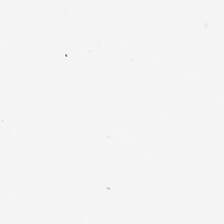H&E. Field content — background (no tissue).
